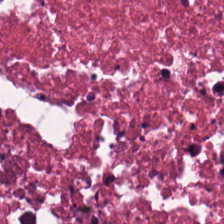Q: Classify this patch.
A: Debris.
